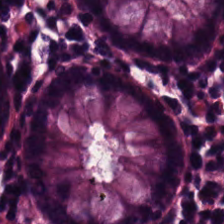This field is normal colonic mucosa.
